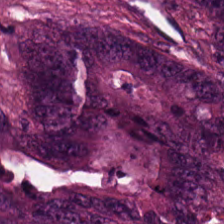Hematoxylin and eosin — The tissue here is malignant epithelium.
